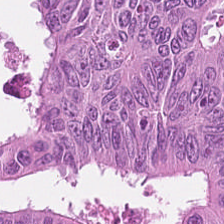Tissue type — malignant epithelium.
